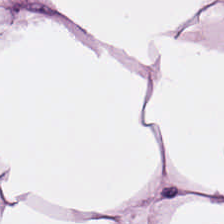H&E. Finding → adipose tissue.
